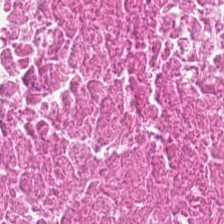This field is cellular debris.
